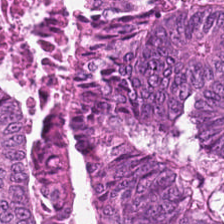Q: What tissue is shown?
A: The field shows tumor epithelium.
